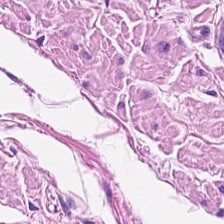224×224 pixel tile · hematoxylin and eosin — Q: What tissue is shown?
A: The field shows smooth-muscle tissue.
